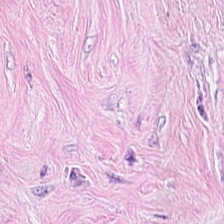H&E-stained tissue section.
Impression → cancer-associated stroma.
